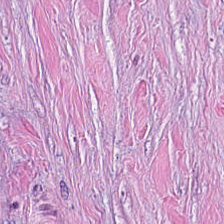224×224 px patch · hematoxylin and eosin — Predominantly tumor stroma.
